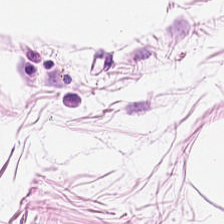Predominantly fat tissue.
